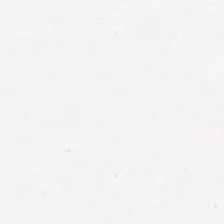H&E stain · FFPE tissue section — Q: Classify this patch.
A: Background.
